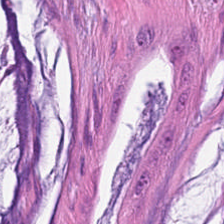Q: What tissue type is shown here?
A: This is mucus.
